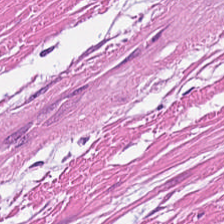This field is smooth-muscle tissue.
